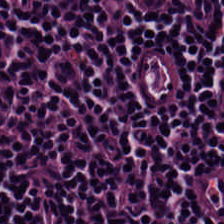224×224 px patch. H&E stain. Histology → lymphocyte aggregate.
